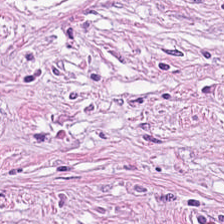{"tissue_type": "tumor-associated stroma"}
